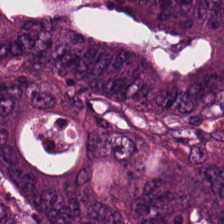0.5 microns per pixel; H&E-stained tissue section — Q: What is the predominant tissue type?
A: The field shows tumor epithelium.
